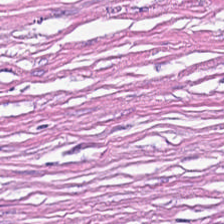Hematoxylin and eosin. Predominantly tumor stroma.
